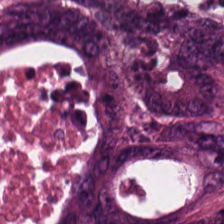H&E-stained tissue section. 20× equivalent magnification. 224×224 px patch.
Colorectal adenocarcinoma.
